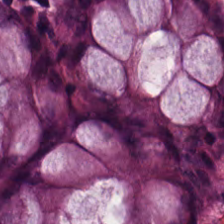H&E. Whole-slide-image patch. FFPE.
The classification is non-neoplastic colon mucosa.
